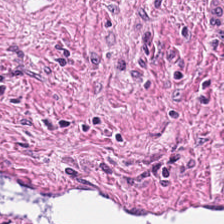H&E-stained tissue section. 224×224 px tile.
The tissue is desmoplastic stroma.
